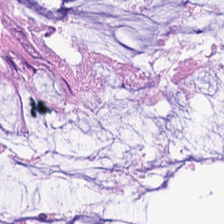Q: What type of tissue is this?
A: The field shows normal colonic mucosa.
